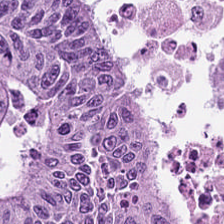Hematoxylin and eosin.
The tissue here is adenocarcinoma.
